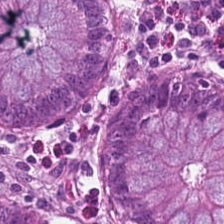H&E — benign colonic mucosa.
